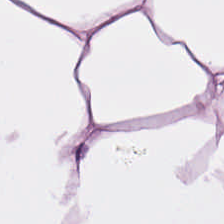H&E stain. 224×224 pixel tile. Finding — adipose.
